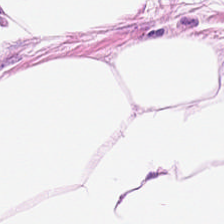Hematoxylin-and-eosin stained section.
This patch shows fat tissue.
